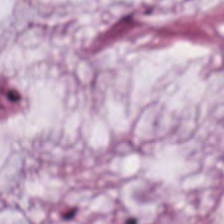H&E stain.
This field is mucus.
